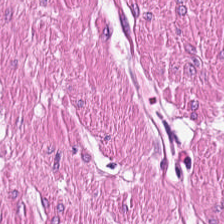This patch shows smooth-muscle tissue.
